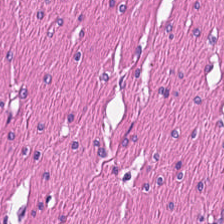224×224 pixel tile · hematoxylin-and-eosin stained section.
Q: Identify the tissue.
A: The field shows smooth muscle.
